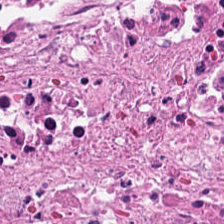WSI patch; H&E stain; 0.5 µm/px. Predominantly debris.
